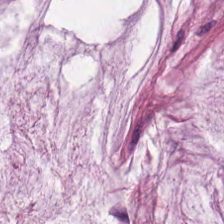H&E-stained tissue section — Extracellular mucin.
